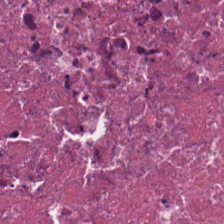H&E — Q: Classify this patch.
A: The field shows necrotic debris.
